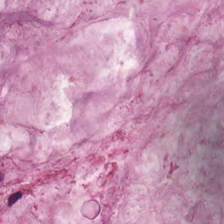Hematoxylin-and-eosin stained section — The predominant tissue is extracellular mucin.
